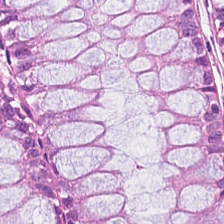Stain: H&E.
Tile size: 224×224 px patch.
Classification: non-neoplastic colon mucosa.
